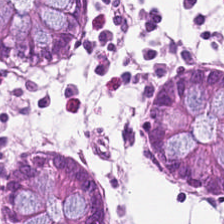Stain: H&E stain.
Predominant tissue: normal colon mucosa.
